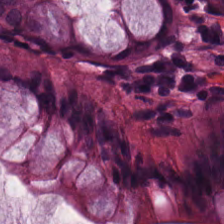The classification is benign colonic mucosa.
